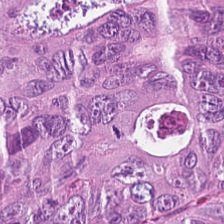Hematoxylin and eosin. Predominantly malignant epithelium.
